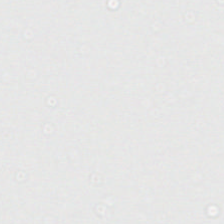H&E-stained tissue section.
Background — no tissue in this field.
